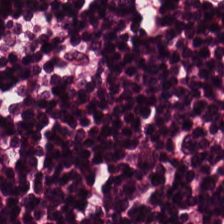H&E stain — Tissue class — lymphocytes.
